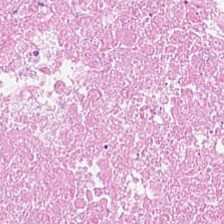Tissue class — cellular debris.
